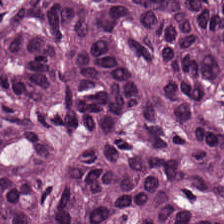0.5 µm per pixel. Hematoxylin-and-eosin stained section. Formalin-fixed paraffin-embedded section.
{"tissue_type": "tumor epithelium"}
